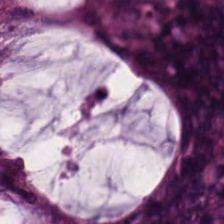H&E-stained tissue section.
This patch shows colorectal adenocarcinoma.
